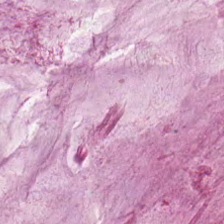Formalin-fixed paraffin-embedded section. 224×224 px patch. H&E.
Showing extracellular mucin.
